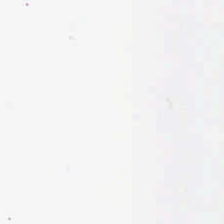Impression → no tissue.
